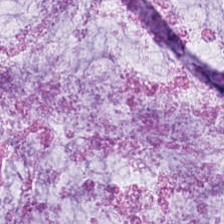Hematoxylin-and-eosin stained section. WSI patch. Finding — mucus.
